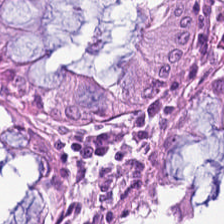Tissue type: non-neoplastic colon mucosa.
